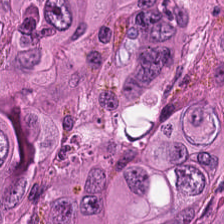Predominant tissue — tumor epithelium.
